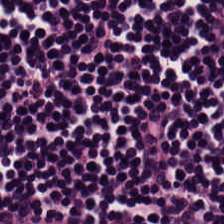Stain: H&E-stained tissue section.
Preparation: formalin-fixed paraffin-embedded section.
Predominant tissue: lymphoid infiltrate.
